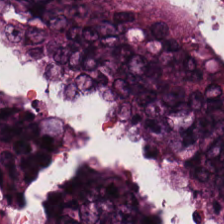Tissue type = malignant epithelium.
